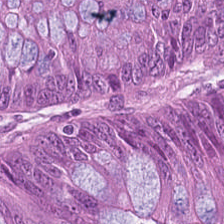H&E. 0.5 microns per pixel.
The tissue class is adenocarcinoma.
